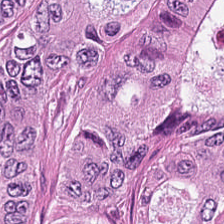H&E · 224×224 px tile — Colorectal adenocarcinoma.
